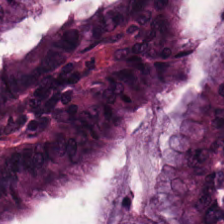H&E stain. Predominant tissue — colorectal adenocarcinoma epithelium.
